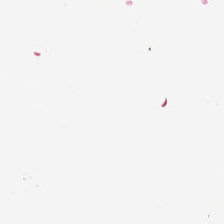H&E-stained tissue section · 224×224 px patch — Background — no tissue in this field.
